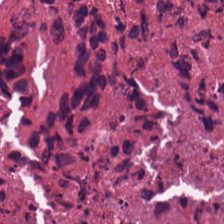Hematoxylin-and-eosin stained section — {"tissue_type": "cellular debris"}
